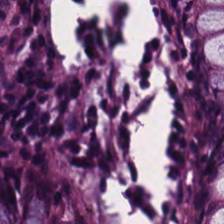Tissue: normal colon mucosa.
